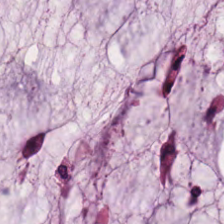FFPE tissue section; hematoxylin-and-eosin stained section — Impression → mucin.
